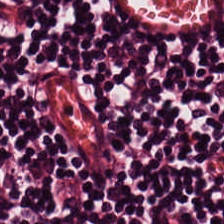224×224 pixel tile; H&E stain; FFPE tissue section — Tissue class = lymphocytes.
